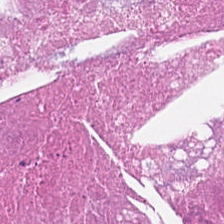H&E-stained tissue section.
Q: What does this patch show?
A: This is necrotic debris.
